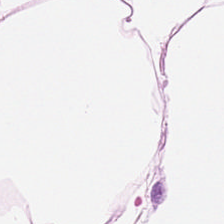Hematoxylin and eosin; 0.5 µm per pixel.
Adipose.
